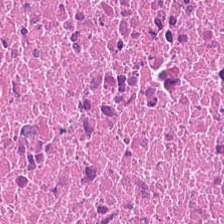224×224 px patch. Hematoxylin-and-eosin stained section. The predominant tissue is debris.
